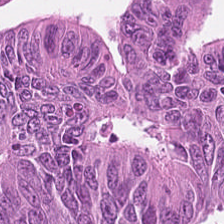Hematoxylin-and-eosin stained section; FFPE tissue section.
Q: What is shown here?
A: It is adenocarcinoma.
